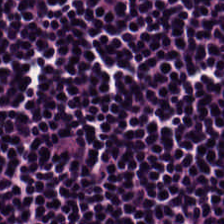H&E — lymphocytic infiltrate.
